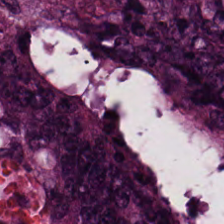Histology → adenocarcinoma.
